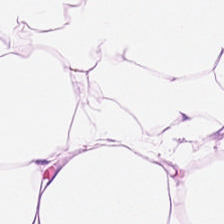Hematoxylin-and-eosin stained section — The tissue here is adipose.
